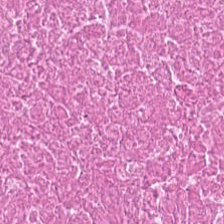Hematoxylin and eosin — The tissue here is necrotic debris.
